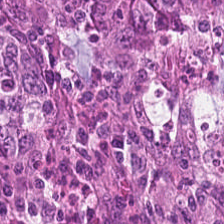H&E-stained tissue section.
Q: What is the predominant tissue type?
A: Colorectal adenocarcinoma.
